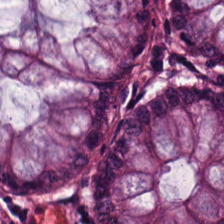224×224 px tile. 0.5 µm per pixel. Hematoxylin and eosin.
Normal colonic mucosa.
